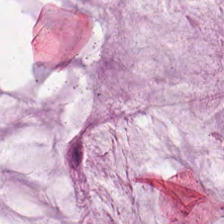Whole-slide-image patch · hematoxylin and eosin.
This field is mucus.
